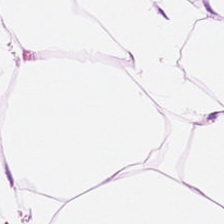Stain: hematoxylin-and-eosin stained section.
Classification: fat tissue.
